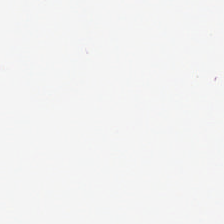The classification is no tissue.
